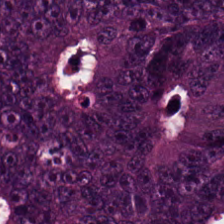The predominant tissue is tumor epithelium.
